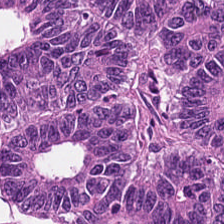Colorectal adenocarcinoma.
